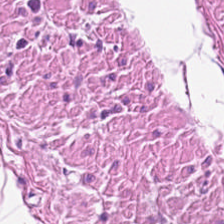The tissue is muscularis.
